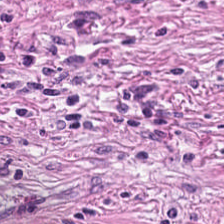H&E-stained tissue section — Finding — tumor-associated stroma.
